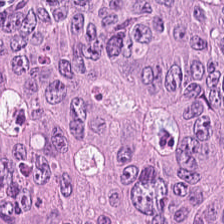0.5 µm per pixel · brightfield · H&E.
The predominant tissue is colorectal adenocarcinoma epithelium.
